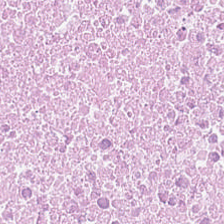224×224 pixel tile. 0.5 µm/px. H&E-stained tissue section. Classification: debris.
